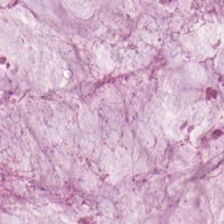H&E — mucus.
